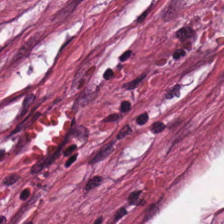Hematoxylin and eosin.
Tumor-associated stroma.
